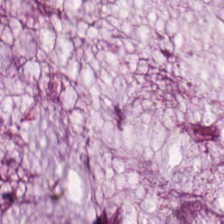Brightfield microscopy. Hematoxylin and eosin.
Showing mucus.
